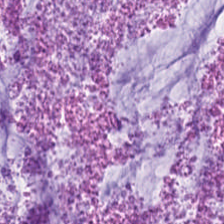The tissue type is extracellular mucin.
